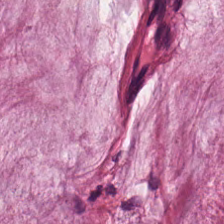Hematoxylin-and-eosin stained section.
Q: What is shown in this field?
A: This is mucin.
